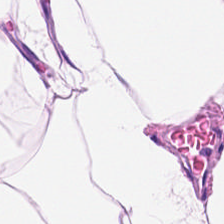20× equivalent magnification; hematoxylin and eosin — Q: What type of tissue is this?
A: Adipose tissue.
